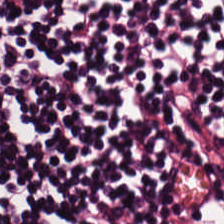Hematoxylin-and-eosin stained section.
{"tissue_type": "lymphocytes"}
